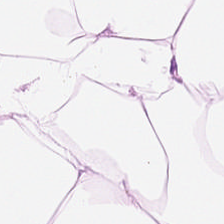FFPE. Hematoxylin and eosin — This field is adipose tissue.
